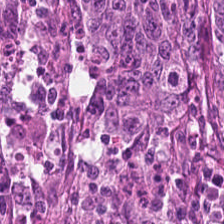H&E stain — Q: What is shown here?
A: The field shows malignant epithelium.
